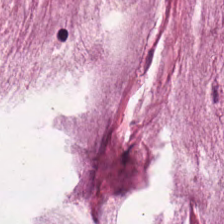Hematoxylin and eosin. 224×224 px tile — Tissue type — mucus.
